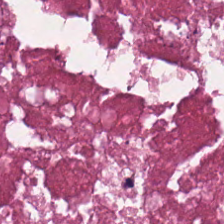Stain: H&E.
Acquisition: WSI patch.
Classification: necrotic debris.
